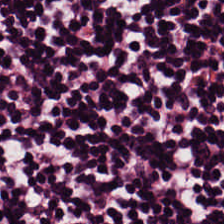Showing lymphoid infiltrate.
